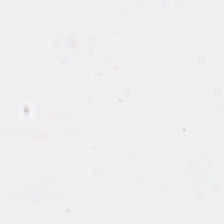Hematoxylin-and-eosin stained section. Formalin-fixed paraffin-embedded section — Empty field — background (no tissue).
